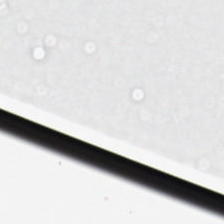Hematoxylin and eosin — Field content — background.
